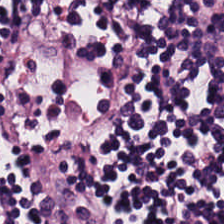This patch shows lymphocytes.
